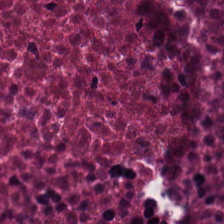H&E. Classification: debris.
